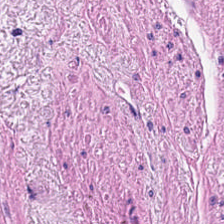Stain: hematoxylin-and-eosin stained section.
Preparation: FFPE tissue section.
Tile size: 224×224 px patch.
Tissue type: smooth muscle.
